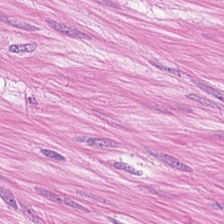H&E stain — Showing smooth muscle.
